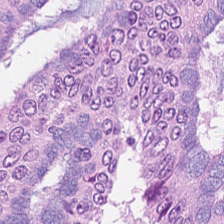Stain: H&E.
Acquisition: whole-slide-image patch.
Predominant tissue: malignant epithelium.
